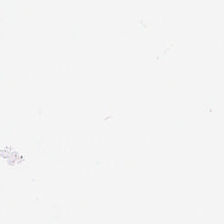Stain: H&E stain.
Acquisition: whole-slide-image patch.
Preparation: FFPE.
Content: no tissue.
